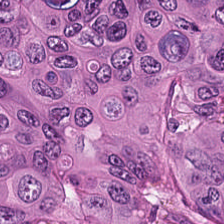224×224 px patch. WSI patch. H&E-stained tissue section.
Showing colorectal adenocarcinoma.
